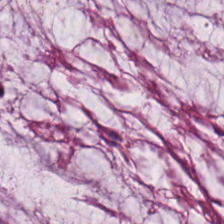Hematoxylin and eosin — Q: What is the predominant tissue type?
A: Mucus.
